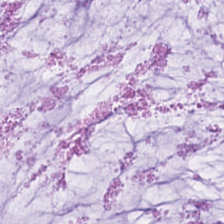Tissue class: mucus.
